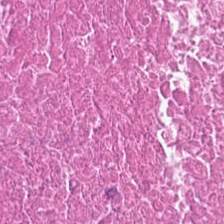H&E — Tissue — cellular debris.
